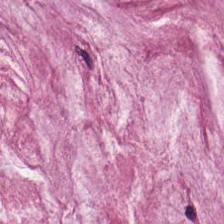Stain: hematoxylin and eosin.
Tissue: extracellular mucin.
